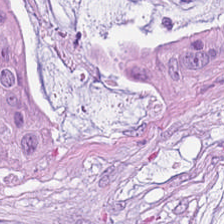H&E — Predominant tissue — mucin.
